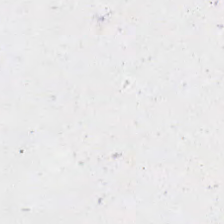No tissue present; background only.
